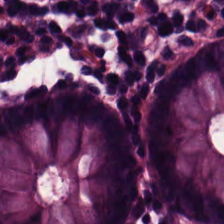Whole-slide-image patch; FFPE tissue section; hematoxylin-and-eosin stained section — Histology → normal colon mucosa.
